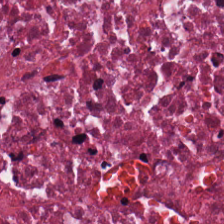Hematoxylin-and-eosin stained section — Tissue = cellular debris.
